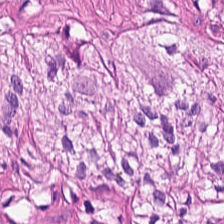Hematoxylin and eosin. Q: What tissue is shown?
A: The field shows smooth-muscle tissue.
